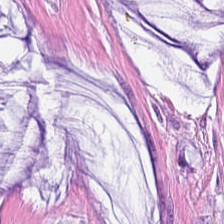224×224 px tile; hematoxylin and eosin.
Showing mucus.
